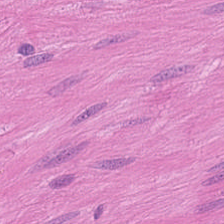H&E stain.
The tissue here is smooth muscle.
